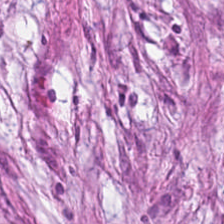H&E-stained tissue section. Tissue type: desmoplastic stroma.
